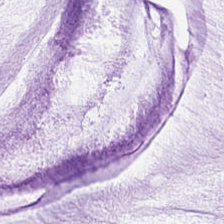0.5 µm/px · H&E-stained tissue section · 224×224 px patch. Predominant tissue = mucus.
